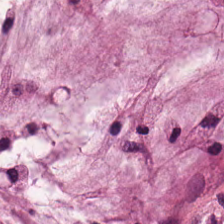H&E-stained tissue section · 224×224 px patch — Predominant tissue: mucin.
